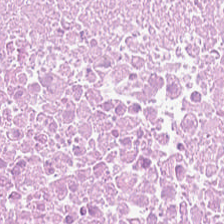Stain: H&E.
Tissue class: debris.
